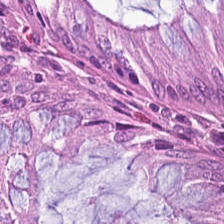H&E. 224×224 px patch. Tissue type: benign colonic mucosa.
